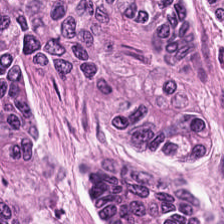Stain: H&E.
Preparation: FFPE.
Tissue type: colorectal adenocarcinoma epithelium.
